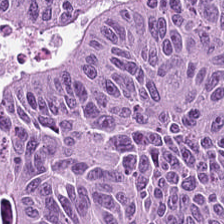Q: Classify this patch.
A: It is malignant epithelium.
